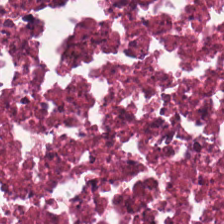Hematoxylin and eosin · FFPE.
This patch shows cellular debris.
